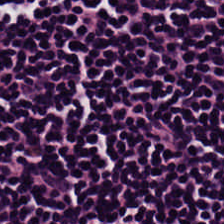Stain: hematoxylin and eosin.
Predominant tissue: lymphocyte aggregate.
